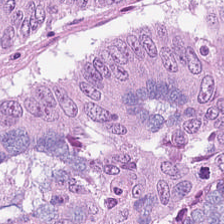Hematoxylin and eosin · WSI patch.
Q: Identify the tissue.
A: Colorectal adenocarcinoma.
